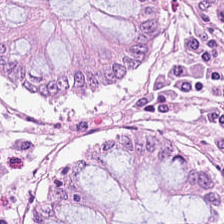Q: What tissue type is shown here?
A: This is non-neoplastic colon mucosa.
